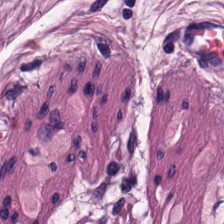H&E stain; 224×224 px patch; FFPE. Finding — muscularis.
